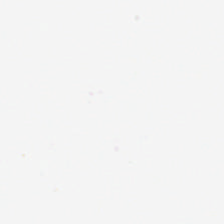H&E; 224×224 pixel tile. The classification is empty background.
